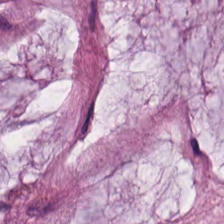Showing mucin.
